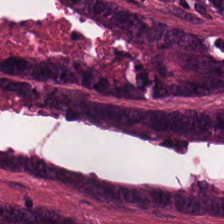This patch shows malignant epithelium.
